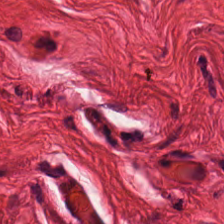Stain: hematoxylin-and-eosin stained section.
Tile size: 224×224 px patch.
Tissue: muscularis.
